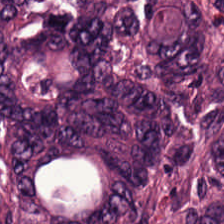Hematoxylin-and-eosin stained section. The predominant tissue is colorectal adenocarcinoma.
